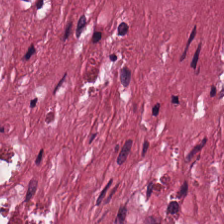The predominant tissue is desmoplastic stroma.
